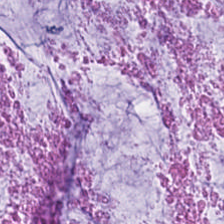This field is mucus.
